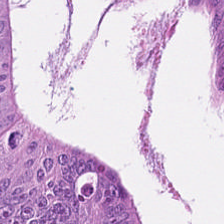Hematoxylin and eosin. 224×224 px patch.
The predominant tissue is colorectal adenocarcinoma.
